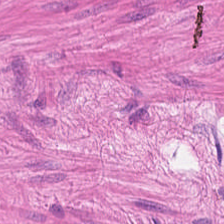H&E.
This patch shows smooth-muscle tissue.
